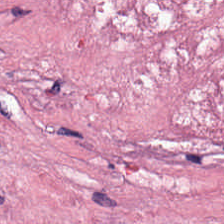The predominant tissue is cancer-associated stroma.
